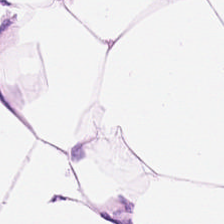Hematoxylin and eosin.
Classification: adipocytes.
